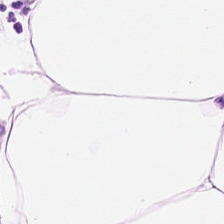Hematoxylin and eosin. 0.5 µm/px — This field is adipocytes.
